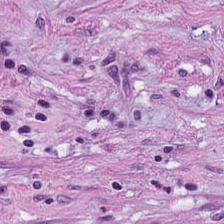Classification — desmoplastic stroma.
